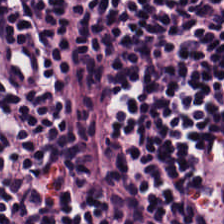20× equivalent magnification. Hematoxylin and eosin. Formalin-fixed paraffin-embedded section. Predominant tissue = lymphocytes.
